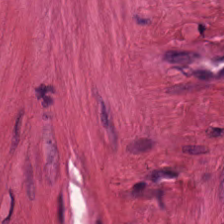H&E-stained tissue section — Predominantly smooth muscle.
